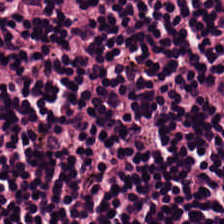Hematoxylin-and-eosin stained section — The tissue here is lymphocytes.
